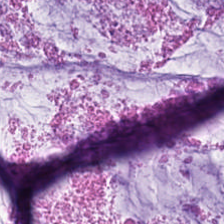H&E-stained tissue section. 224×224 px patch. This field is mucin.
